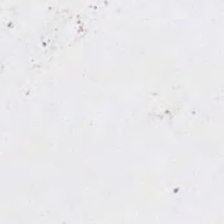Whole-slide-image patch; H&E-stained tissue section. Q: What is shown in this field?
A: The field shows empty background.
